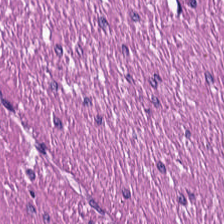Q: What type of tissue is this?
A: It is muscularis.
